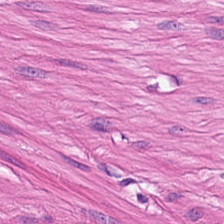Hematoxylin and eosin — {"tissue_type": "muscularis"}
